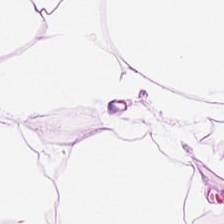Hematoxylin-and-eosin stained section. This patch shows adipose tissue.
